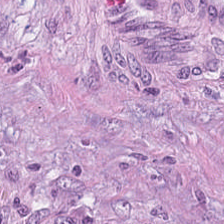Stain: H&E-stained tissue section.
Preparation: FFPE tissue section.
Tile size: 224×224 px patch.
Tissue: desmoplastic stroma.
